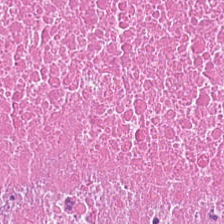20× equivalent magnification · hematoxylin-and-eosin stained section.
The tissue here is cellular debris.
